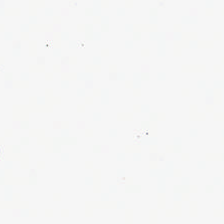Q: What is shown here?
A: Empty background.
